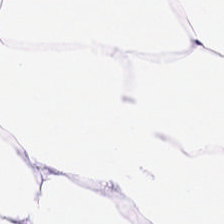H&E stain.
This field is adipose tissue.
